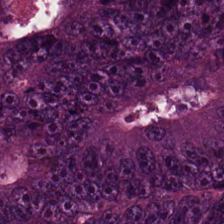H&E stain — Showing colorectal adenocarcinoma.
